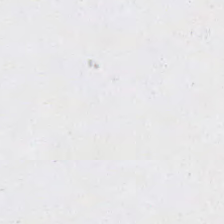Background.
